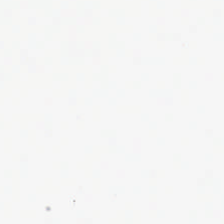H&E-stained tissue section.
Empty field — empty background.
